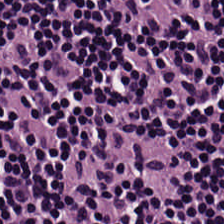H&E stain. Impression → lymphocytic infiltrate.
